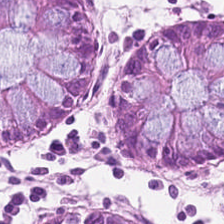Hematoxylin and eosin; brightfield microscopy. Normal colon mucosa.
